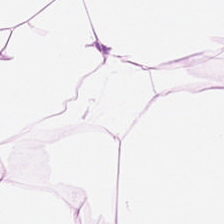The classification is adipose tissue.
